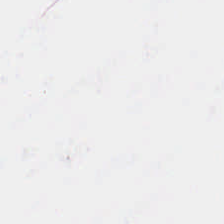Field content = background.
